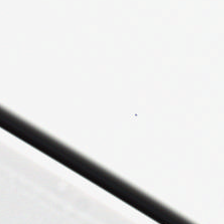H&E-stained tissue section.
Empty background.
